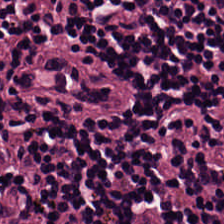224×224 px patch · hematoxylin-and-eosin stained section. Predominantly lymphocytic infiltrate.
